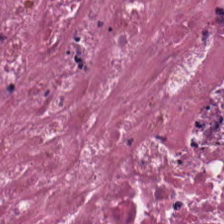Hematoxylin-and-eosin stained section. This patch shows cellular debris.
